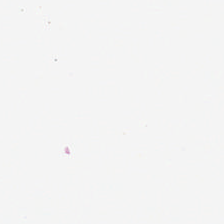224×224 px tile. Hematoxylin-and-eosin stained section.
{"content": "empty background"}
